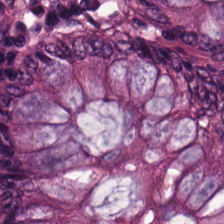Stain: H&E.
Acquisition: whole-slide-image patch.
Predominant tissue: normal colon mucosa.
